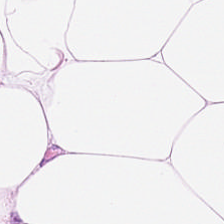Impression — adipose.
